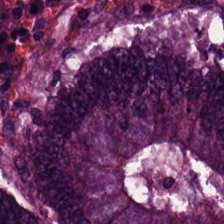Brightfield. H&E-stained tissue section — Histology → malignant epithelium.
